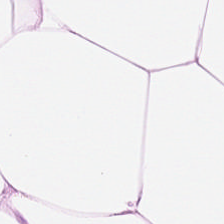H&E. Formalin-fixed paraffin-embedded section.
Tissue type — fat tissue.
